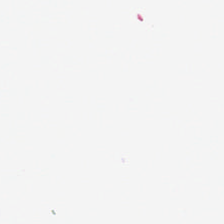Hematoxylin-and-eosin stained section. 224×224 px tile. 20× equivalent magnification. This field is background (no tissue).
